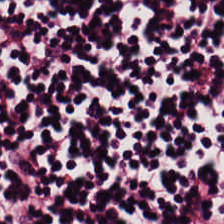Histology — lymphocyte aggregate.
